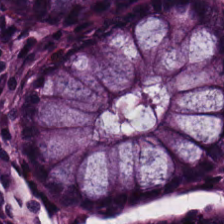Q: What is shown here?
A: The field shows non-neoplastic colon mucosa.
